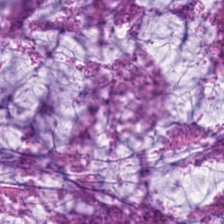H&E stain · 20× equivalent magnification — Impression — extracellular mucin.
